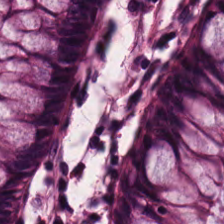H&E stain — Impression — normal colon mucosa.
